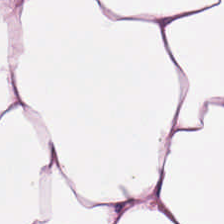224×224 pixel tile · H&E.
Q: Identify the tissue.
A: The field shows adipocytes.
